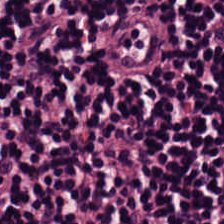Stain: H&E stain.
Tissue: lymphocytic infiltrate.
